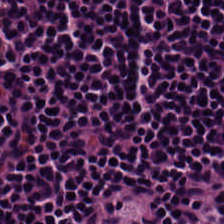Hematoxylin and eosin · FFPE tissue section. The tissue here is lymphocyte aggregate.
